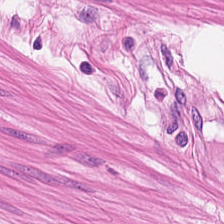Brightfield; H&E stain. Smooth muscle.
